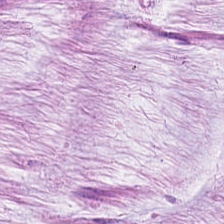Brightfield microscopy · H&E-stained tissue section — The predominant tissue is mucus.
